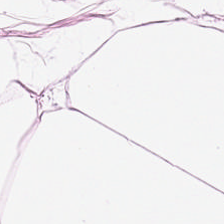Hematoxylin-and-eosin stained section.
Q: What is the predominant tissue type?
A: This is fat tissue.
